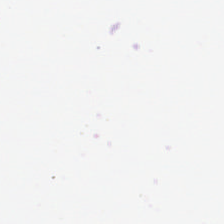Hematoxylin and eosin. {"content": "background"}
